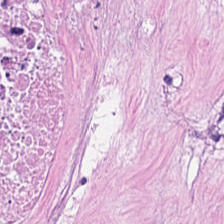Tissue: necrotic debris.
